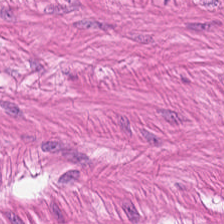H&E-stained tissue section. FFPE. Q: What tissue type is shown here?
A: Smooth-muscle tissue.
